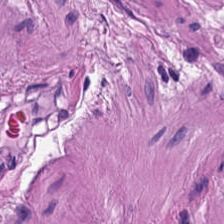Hematoxylin and eosin; formalin-fixed paraffin-embedded section; WSI patch — This patch shows smooth-muscle tissue.
